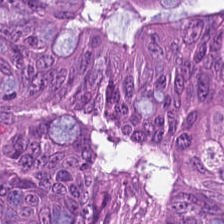Brightfield microscopy · H&E. Q: What tissue is shown?
A: Adenocarcinoma.
